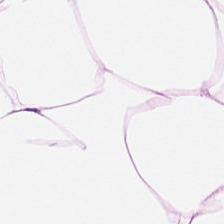H&E stain. WSI patch — This field is adipose tissue.
